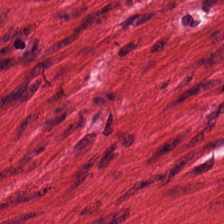H&E; 0.5 microns per pixel. Predominant tissue = smooth-muscle tissue.
